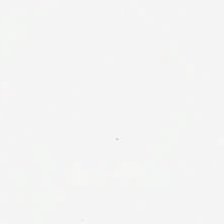0.5 µm per pixel · hematoxylin and eosin — Content: background.
